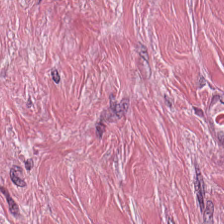The tissue here is cancer-associated stroma.
